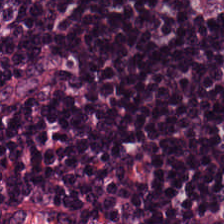Hematoxylin-and-eosin stained section. Lymphocyte aggregate.
